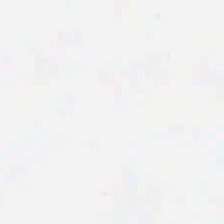Q: What is shown here?
A: The field shows background.
